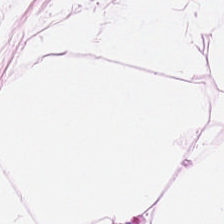Stain: H&E.
Preparation: FFPE.
Tile size: 224×224 px patch.
Classification: fat tissue.
